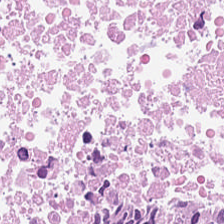Finding → cellular debris.
